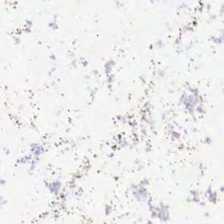Hematoxylin-and-eosin stained section.
This patch shows background (no tissue).
